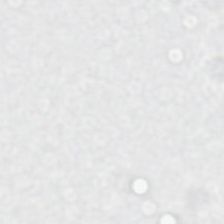Stain: H&E.
Classification: empty background.
